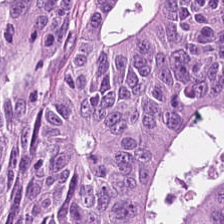H&E · 224×224 px tile. Histology → colorectal adenocarcinoma epithelium.
